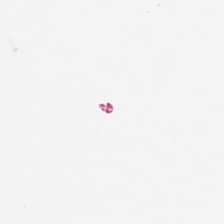H&E stain.
Histology → background.
